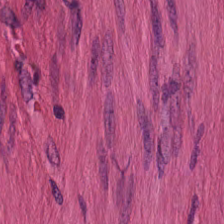Brightfield microscopy · hematoxylin and eosin — Q: What type of tissue is this?
A: It is muscularis.
